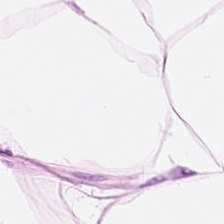Hematoxylin-and-eosin section: adipose.
